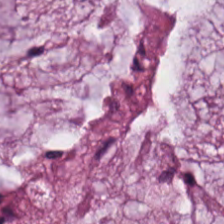Hematoxylin-and-eosin stained section. The tissue type is extracellular mucin.
